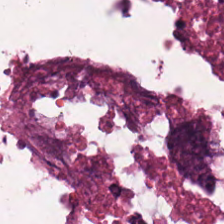H&E-stained tissue section.
Cellular debris.
